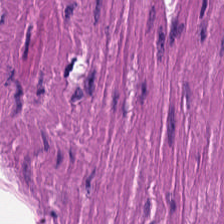Stain: H&E-stained tissue section.
Tissue class: muscularis.
